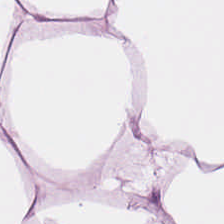Stain: hematoxylin and eosin.
Tissue class: fat tissue.
